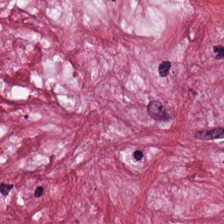Hematoxylin and eosin. The predominant tissue is tumor-associated stroma.
